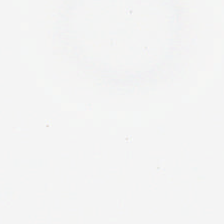This patch shows no tissue.
